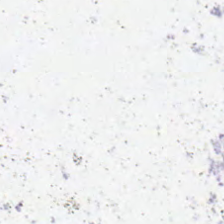{"content": "no tissue"}
